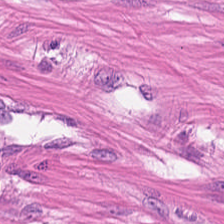Whole-slide-image patch. H&E — Predominantly smooth muscle.
